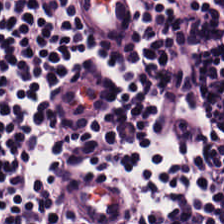H&E.
Showing lymphocytic infiltrate.
